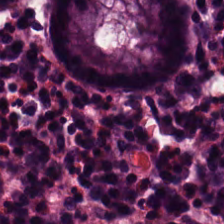Stain: hematoxylin-and-eosin stained section.
Tissue type: normal colonic mucosa.
